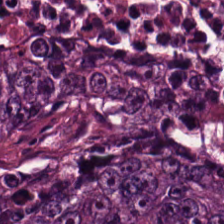H&E. 0.5 µm/px.
Classification = malignant epithelium.
